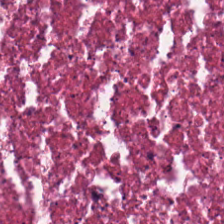H&E stain. {"tissue_type": "debris"}
